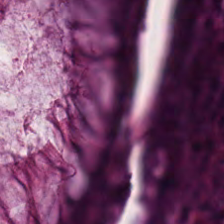H&E-stained tissue section — Predominant tissue — non-neoplastic colon mucosa.
